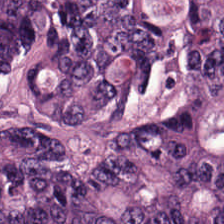The tissue type is malignant epithelium.
